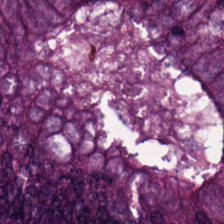0.5 µm per pixel; hematoxylin and eosin — Finding → adenocarcinoma.
